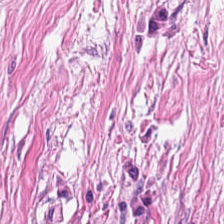H&E stain.
This field is tumor-associated stroma.
